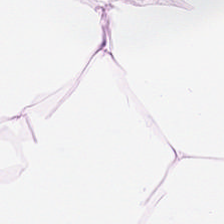H&E; brightfield microscopy. Impression — adipocytes.
